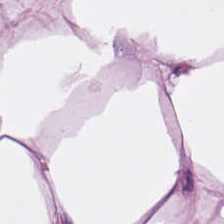Stain: H&E.
Classification: adipose tissue.
